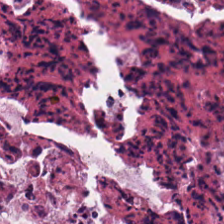0.5 microns per pixel · FFPE tissue section · hematoxylin and eosin — The predominant tissue is cellular debris.
